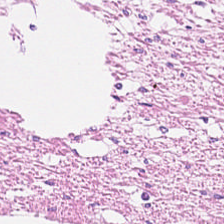Histology → muscularis.
